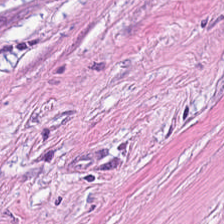This field is cancer-associated stroma.
